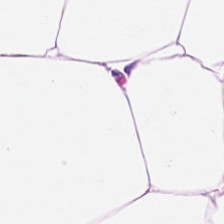Hematoxylin-and-eosin stained section.
Predominantly adipose tissue.
